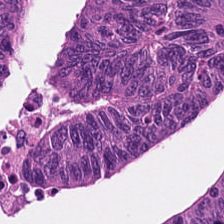Stain: hematoxylin and eosin.
Tissue class: colorectal adenocarcinoma.
